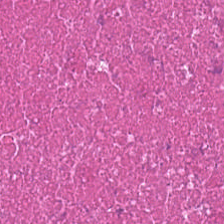H&E-stained tissue section. Tissue = necrotic debris.
